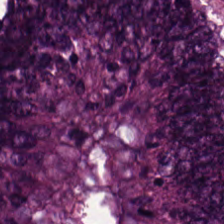H&E · FFPE tissue section. This patch shows colorectal adenocarcinoma.
